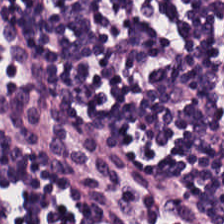Histology — lymphocytes.
